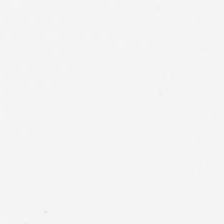0.5 microns per pixel · hematoxylin and eosin.
Background (no tissue).
